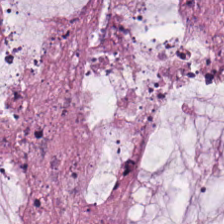H&E stain; 224×224 px patch; 0.5 microns per pixel.
Tissue type = mucin.
